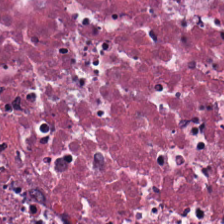224×224 px tile; H&E. Tissue type = debris.
